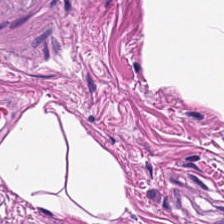Hematoxylin-and-eosin stained section. Tissue — smooth muscle.
